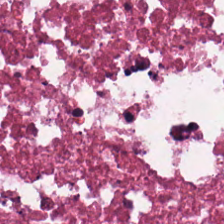Stain: hematoxylin-and-eosin stained section.
Tissue: necrotic debris.
